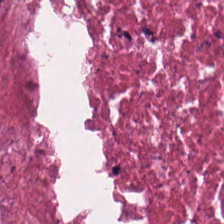H&E stain.
Q: What tissue is shown?
A: This is necrotic debris.
